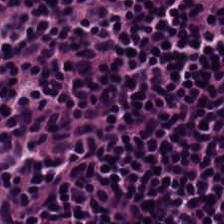Q: What type of tissue is this?
A: This is lymphocyte aggregate.
